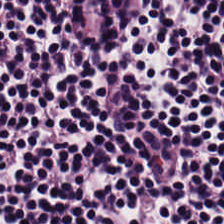0.5 µm per pixel; WSI patch; hematoxylin-and-eosin stained section — Q: What type of tissue is this?
A: Lymphocyte aggregate.
